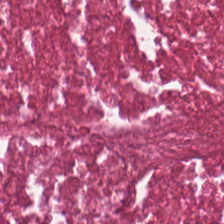Stain: H&E-stained tissue section.
Predominant tissue: cellular debris.
